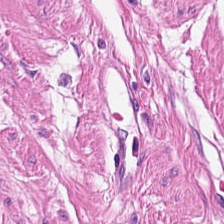H&E stain. Histology — smooth muscle.
